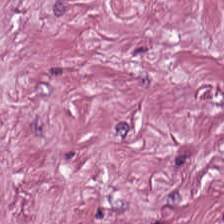H&E-stained tissue section. Q: What tissue type is shown here?
A: This is desmoplastic stroma.
